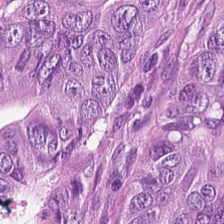Stain: hematoxylin and eosin.
Resolution: 0.5 µm per pixel.
Classification: adenocarcinoma.
